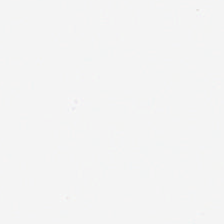Brightfield microscopy; H&E. Background — no tissue in this field.
